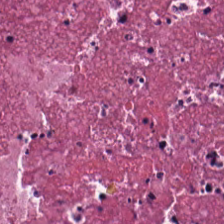Hematoxylin and eosin — Predominant tissue = cellular debris.
